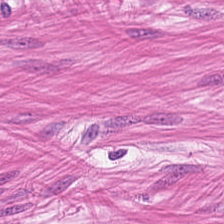Hematoxylin-and-eosin stained section. Smooth muscle.
